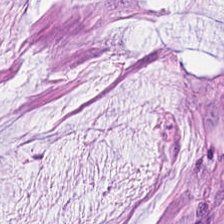0.5 microns per pixel; formalin-fixed paraffin-embedded section; hematoxylin and eosin. Tissue type: extracellular mucin.
